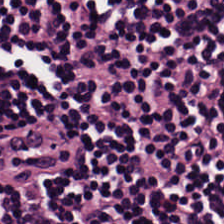H&E-stained tissue section showing lymphocytic infiltrate.
